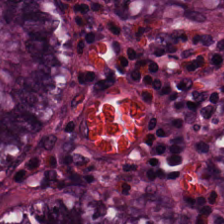H&E-stained tissue section; formalin-fixed paraffin-embedded section; 224×224 pixel tile. Tissue type: normal colonic mucosa.
